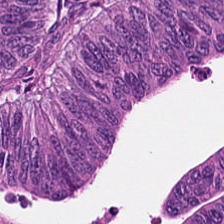H&E — Colorectal adenocarcinoma epithelium.
